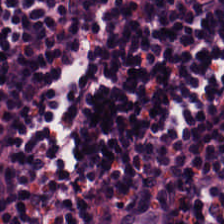Classification — lymphocytes.
